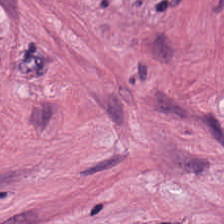H&E stain · 224×224 px patch — Q: What is shown here?
A: This is cancer-associated stroma.
